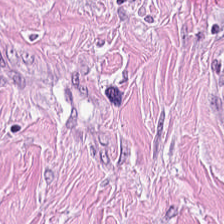H&E.
This patch shows cancer-associated stroma.
